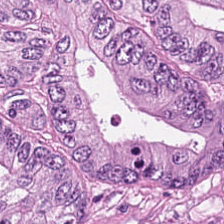Hematoxylin and eosin. {"tissue_type": "adenocarcinoma"}
